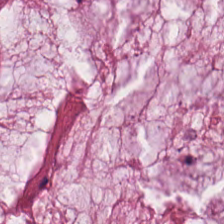Whole-slide-image patch · H&E.
Finding — mucin.
